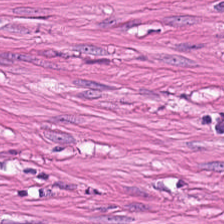Predominant tissue: muscularis.
